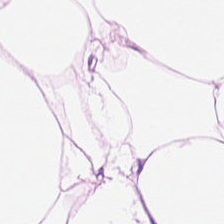H&E. 224×224 pixel tile. 0.5 µm per pixel.
Showing fat tissue.
